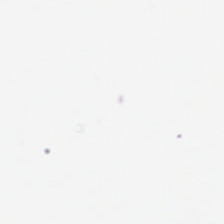H&E — This field is background (no tissue).
